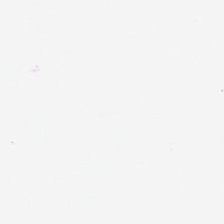H&E. Content = no tissue.
